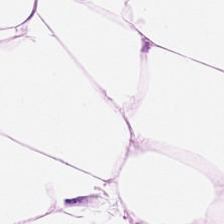WSI patch. 0.5 µm per pixel. Hematoxylin-and-eosin stained section — Predominant tissue = adipose.
